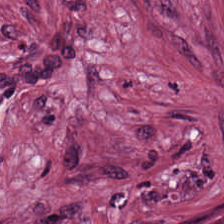Formalin-fixed paraffin-embedded section. H&E-stained tissue section — Tissue class — desmoplastic stroma.
